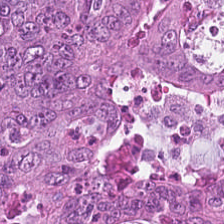Hematoxylin-and-eosin stained section — Q: What type of tissue is this?
A: Adenocarcinoma.
